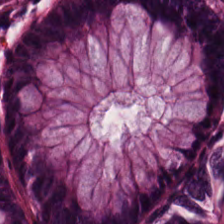{"tissue_type": "non-neoplastic colon mucosa"}
